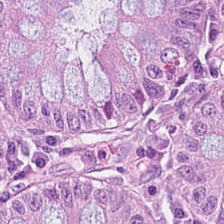Hematoxylin and eosin — Histology — normal colon mucosa.
